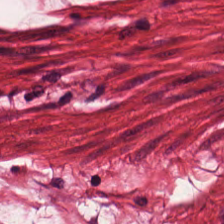Stain: hematoxylin and eosin.
Predominant tissue: smooth muscle.
